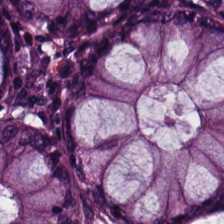H&E — non-neoplastic colon mucosa.
